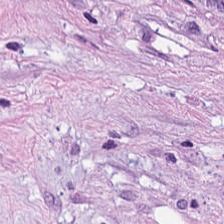H&E — Q: What does this patch show?
A: This is desmoplastic stroma.
